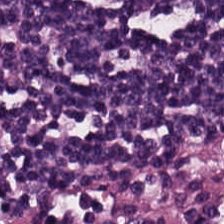224×224 px tile. WSI patch. H&E — Tissue type = lymphocyte aggregate.
